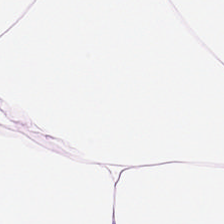Hematoxylin and eosin. The predominant tissue is adipocytes.
